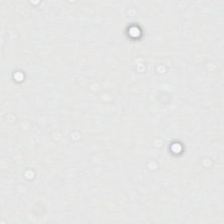Hematoxylin and eosin.
Q: What is shown here?
A: It is background (no tissue).
